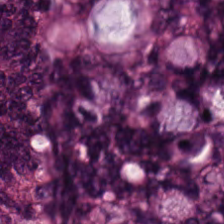H&E · brightfield.
Tumor epithelium.
